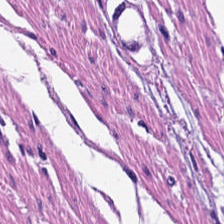FFPE · 224×224 px patch · H&E stain. The tissue class is smooth-muscle tissue.
